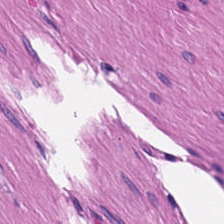224×224 px patch · H&E · whole-slide-image patch — Tissue class: smooth-muscle tissue.
